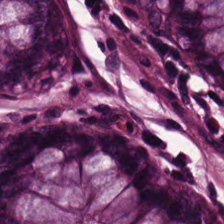H&E — Q: What is shown in this field?
A: This is non-neoplastic colon mucosa.
